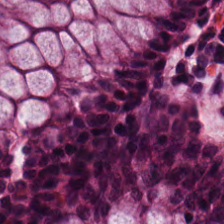Stain: hematoxylin and eosin.
Classification: normal colon mucosa.
